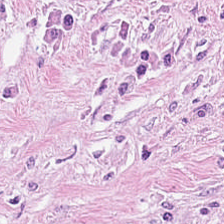Showing desmoplastic stroma.
